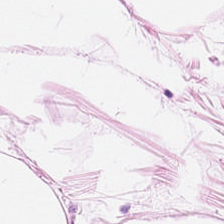Tissue = adipocytes.
